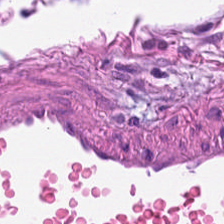H&E.
Classification: smooth-muscle tissue.
